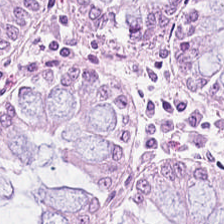224×224 pixel tile · hematoxylin-and-eosin stained section. Q: What does this patch show?
A: This is non-neoplastic colon mucosa.
